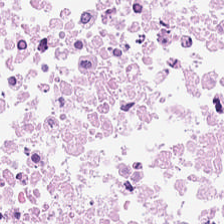224×224 px tile; hematoxylin-and-eosin stained section.
Predominantly debris.
